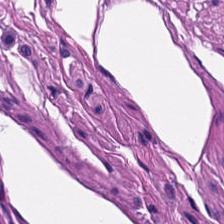WSI patch. Hematoxylin-and-eosin stained section. 224×224 px patch — Smooth-muscle tissue.
